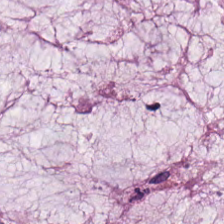Hematoxylin and eosin. Whole-slide-image patch — Impression — extracellular mucin.
